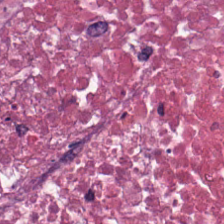FFPE. H&E.
Q: What tissue type is shown here?
A: This is necrotic debris.
